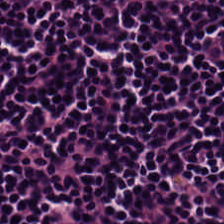H&E. Q: What does this patch show?
A: It is lymphoid infiltrate.
